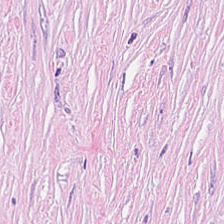224×224 px patch. H&E.
The tissue here is cancer-associated stroma.
